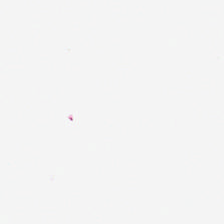Q: What is shown here?
A: It is empty background.
